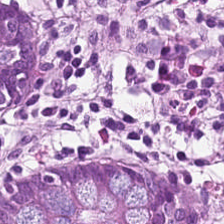Hematoxylin-and-eosin stained section — Tissue type = normal colon mucosa.
